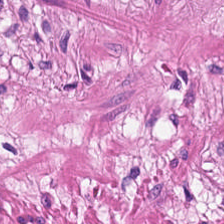H&E-stained tissue section.
The predominant tissue is smooth-muscle tissue.
